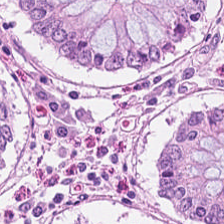Histology → non-neoplastic colon mucosa.
